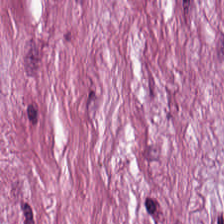Brightfield; hematoxylin and eosin; 0.5 µm per pixel.
Q: What does this patch show?
A: It is desmoplastic stroma.
